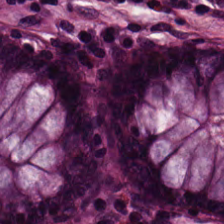The tissue here is normal colon mucosa.
